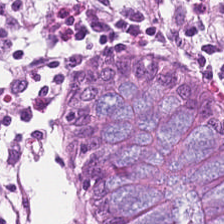H&E · brightfield. Q: What tissue is shown?
A: The field shows benign colonic mucosa.
